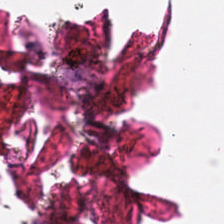H&E.
This field is background (no tissue).
